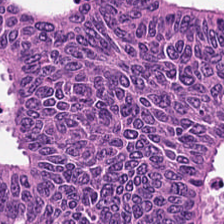20× equivalent magnification; H&E-stained tissue section; 224×224 px tile. The tissue here is malignant epithelium.
